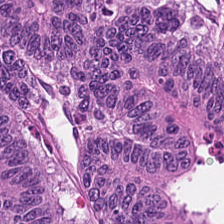Hematoxylin and eosin. Brightfield. 0.5 µm per pixel — The tissue is adenocarcinoma.
